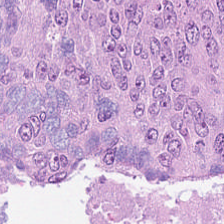H&E-stained tissue section — The tissue here is colorectal adenocarcinoma.
